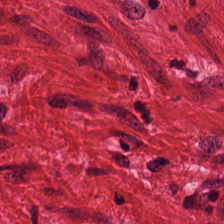Hematoxylin and eosin. Q: Classify this patch.
A: The field shows muscularis.
